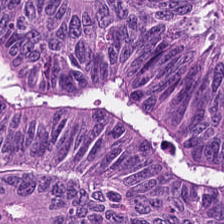H&E stain.
Q: What type of tissue is this?
A: It is tumor epithelium.
